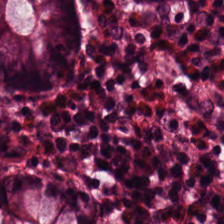FFPE tissue section; H&E stain. The tissue here is normal colon mucosa.
